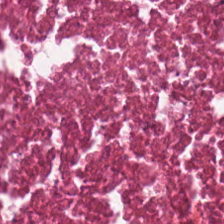H&E-stained tissue section.
Tissue — debris.
